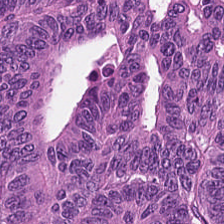Hematoxylin-and-eosin stained section. Formalin-fixed paraffin-embedded section. 0.5 µm/px.
The tissue here is colorectal adenocarcinoma epithelium.
